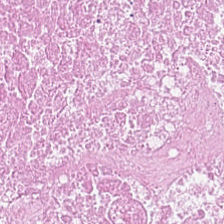Hematoxylin-and-eosin stained section — Histology → debris.
